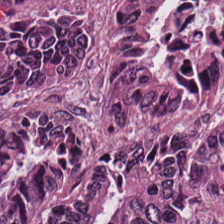Formalin-fixed paraffin-embedded section · H&E — The classification is tumor epithelium.
